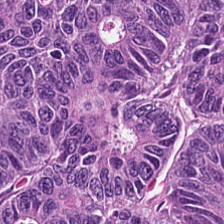Stain: H&E-stained tissue section.
Predominant tissue: adenocarcinoma.
